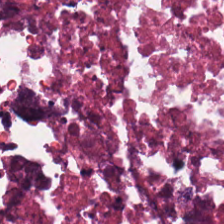Tissue class: cellular debris.
